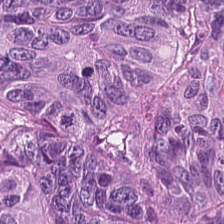Stain: H&E stain.
Tissue: colorectal adenocarcinoma epithelium.
